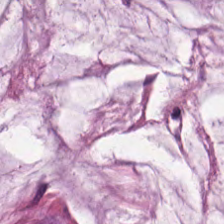Q: What type of tissue is this?
A: Mucin.
